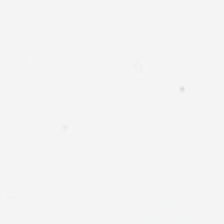H&E stain. Field content = no tissue.
